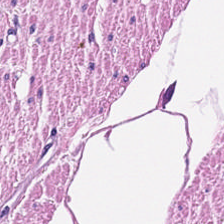Stain: H&E stain.
Tile size: 224×224 px tile.
Tissue type: smooth-muscle tissue.
